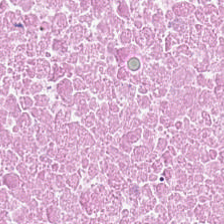Q: What is the predominant tissue type?
A: Debris.
